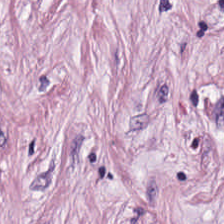Q: What type of tissue is this?
A: It is desmoplastic stroma.
